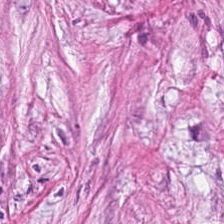Hematoxylin and eosin — The classification is tumor-associated stroma.
